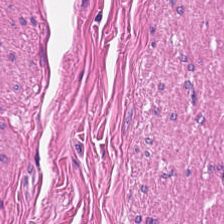H&E patch showing smooth muscle.
